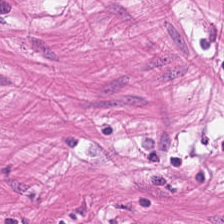Hematoxylin and eosin. Q: What does this patch show?
A: This is smooth muscle.
